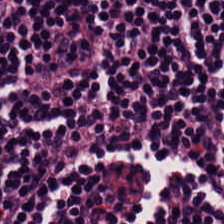WSI patch. H&E-stained tissue section — Predominant tissue: lymphocytic infiltrate.
